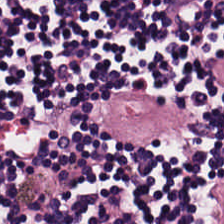Hematoxylin and eosin.
Q: What is shown here?
A: The field shows lymphocytes.
